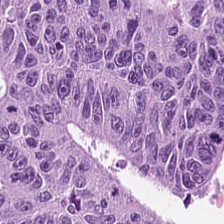H&E stain.
{"tissue_type": "adenocarcinoma"}
